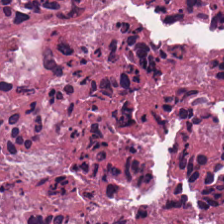Stain: hematoxylin-and-eosin stained section.
Preparation: formalin-fixed paraffin-embedded section.
Resolution: 0.5 µm per pixel.
Predominant tissue: debris.
